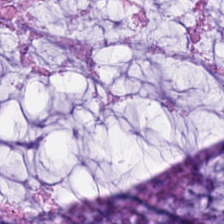This patch shows mucin.
